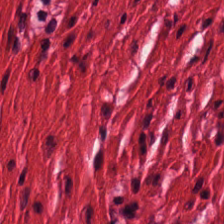Hematoxylin and eosin. 224×224 px tile — Q: What is the predominant tissue type?
A: This is smooth-muscle tissue.
